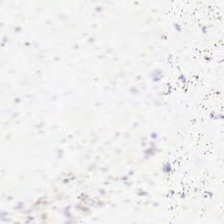Hematoxylin and eosin; 0.5 µm/px.
The content is empty background.
